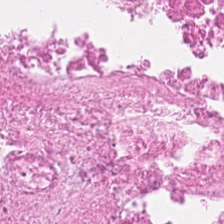H&E-stained tissue section; 0.5 microns per pixel. The tissue type is necrotic debris.
